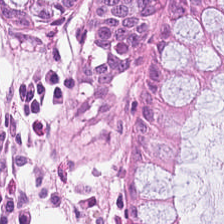WSI patch · hematoxylin-and-eosin stained section. This field is benign colonic mucosa.
